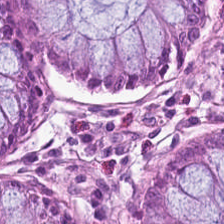FFPE. WSI patch. H&E — The predominant tissue is benign colonic mucosa.
